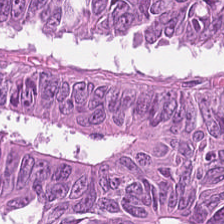Hematoxylin and eosin — The tissue type is colorectal adenocarcinoma.
